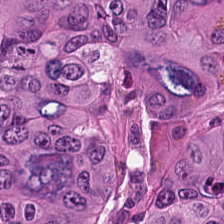Brightfield; H&E; 0.5 µm/px — This patch shows malignant epithelium.
